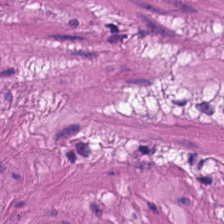The classification is smooth-muscle tissue.
